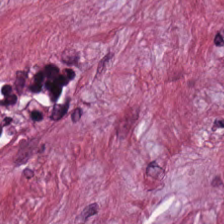Hematoxylin-and-eosin stained section · 20× equivalent magnification · WSI patch — Q: Classify this patch.
A: It is tumor stroma.
